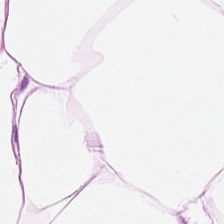H&E-stained tissue section.
Q: What is the predominant tissue type?
A: This is adipocytes.
